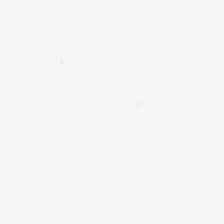Hematoxylin and eosin · 0.5 microns per pixel — Content — background.
